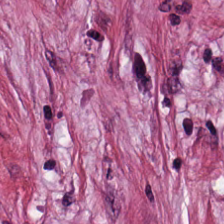0.5 µm per pixel · H&E — Histology — tumor stroma.
